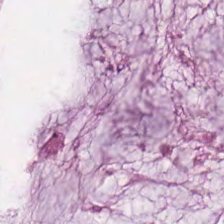Hematoxylin and eosin. 0.5 µm/px. 224×224 px tile — This field is mucus.
